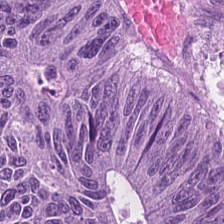Hematoxylin-and-eosin stained section.
Colorectal adenocarcinoma epithelium.
